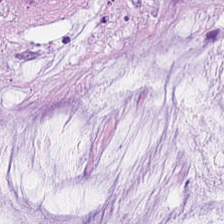H&E. The predominant tissue is mucus.
